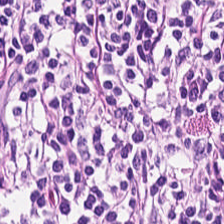FFPE tissue section · H&E · 0.5 microns per pixel — Tissue class — lymphocytic infiltrate.
